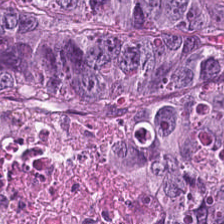H&E-stained tissue section. {"tissue_type": "tumor epithelium"}
